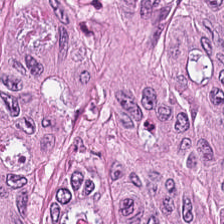Hematoxylin-and-eosin stained section. Predominantly colorectal adenocarcinoma.
